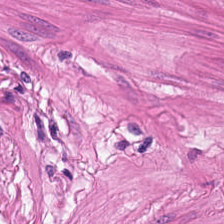H&E-stained section; the field shows smooth muscle.
